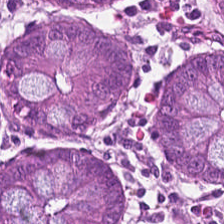Hematoxylin-and-eosin stained section. Q: What tissue type is shown here?
A: The field shows benign colonic mucosa.
